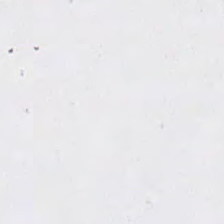Field content: background.
